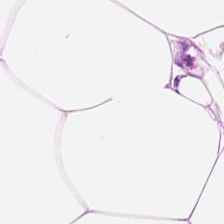Formalin-fixed paraffin-embedded section · H&E stain.
The predominant tissue is adipose.
